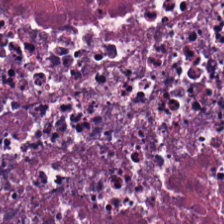Showing necrotic debris.
